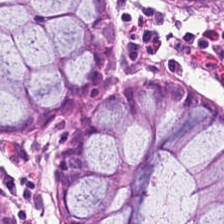The tissue is non-neoplastic colon mucosa.
